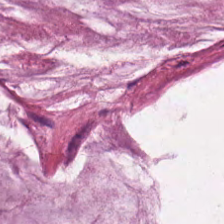H&E. Finding — mucin.
